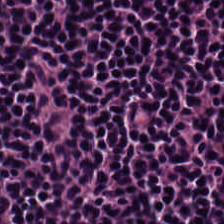FFPE tissue section. H&E. 224×224 px tile. The predominant tissue is lymphocytic infiltrate.
